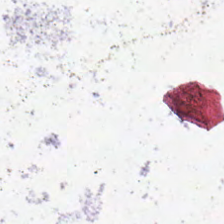Background — no tissue in this field.
